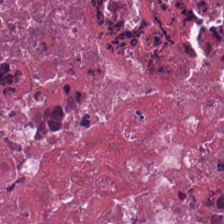0.5 microns per pixel. 224×224 pixel tile. H&E stain — This field is necrotic debris.
